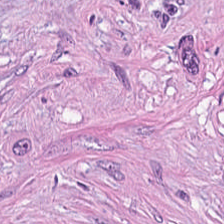Hematoxylin-and-eosin stained section. This patch shows tumor-associated stroma.
